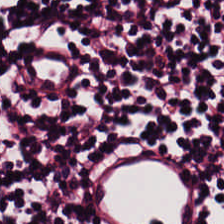FFPE tissue section · hematoxylin-and-eosin stained section. Q: What tissue type is shown here?
A: The field shows lymphoid infiltrate.
